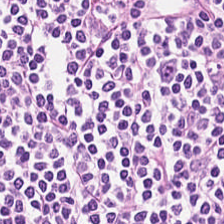Q: What does this patch show?
A: Lymphocytic infiltrate.
